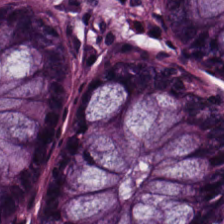Whole-slide-image patch. H&E-stained tissue section.
Classification = normal colonic mucosa.
